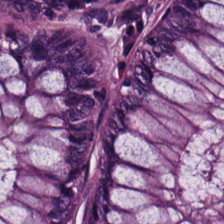Hematoxylin-and-eosin stained section · 224×224 px tile. Tissue type — normal colonic mucosa.
